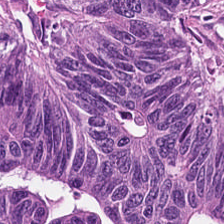0.5 µm/px; hematoxylin and eosin. Predominant tissue: malignant epithelium.
